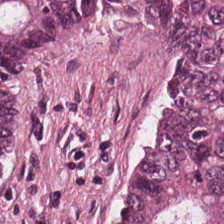Q: Classify this patch.
A: The field shows malignant epithelium.
